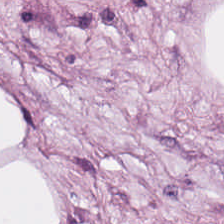{"tissue_type": "adipose"}
